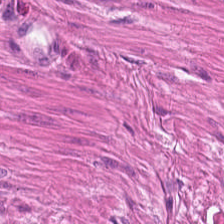FFPE tissue section. Hematoxylin and eosin.
This patch shows smooth-muscle tissue.
